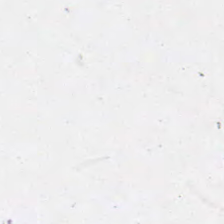Hematoxylin and eosin. This patch shows background (no tissue).
